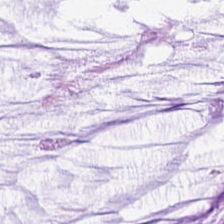The predominant tissue is extracellular mucin.
